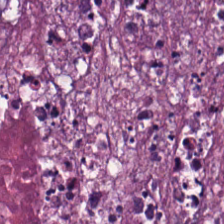The tissue here is necrotic debris.
